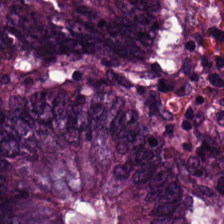H&E.
Tissue = adenocarcinoma.
